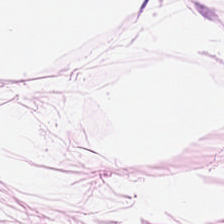Stain: H&E stain.
Preparation: FFPE.
Resolution: 20× equivalent magnification.
Tissue: fat tissue.
